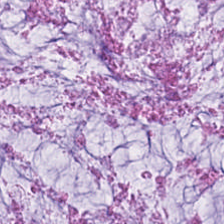H&E-stained tissue section. {"tissue_type": "mucin"}
